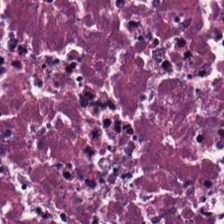Q: Classify this patch.
A: It is debris.
